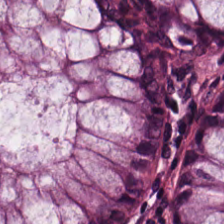Stain: H&E stain.
Resolution: 0.5 µm per pixel.
Tile size: 224×224 px tile.
Classification: non-neoplastic colon mucosa.
